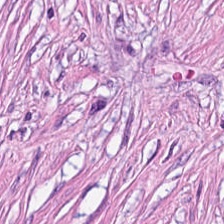H&E.
Cancer-associated stroma.
